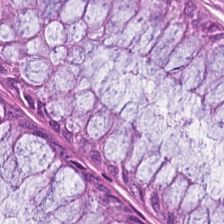Predominant tissue = benign colonic mucosa.
